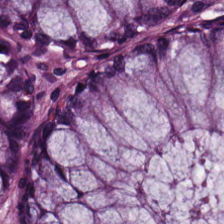Hematoxylin and eosin. FFPE — Q: What is shown in this field?
A: Non-neoplastic colon mucosa.
